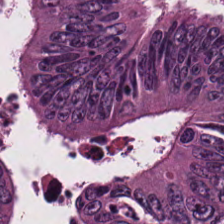H&E stain.
Tissue class = colorectal adenocarcinoma.
